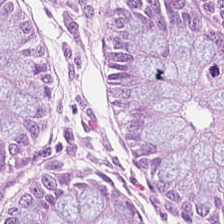Tissue type: non-neoplastic colon mucosa.
